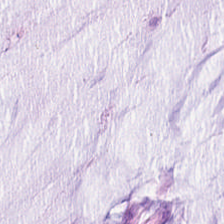This patch shows extracellular mucin.
